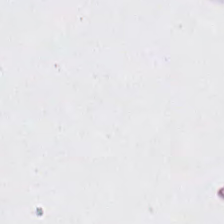H&E. Empty field — background (no tissue).
